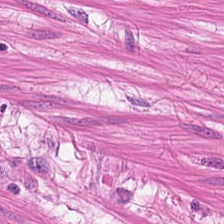Hematoxylin and eosin. Smooth muscle.
